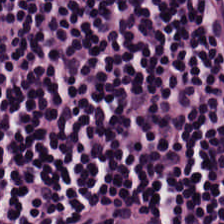H&E-stained tissue section · 224×224 px patch.
Lymphocytes.
